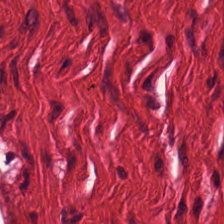H&E-stained tissue section · 224×224 px tile. Q: What is shown in this field?
A: It is muscularis.
